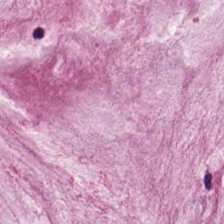Q: Identify the tissue.
A: It is mucus.
